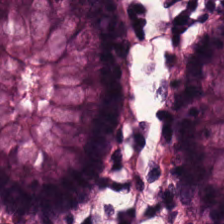Hematoxylin-and-eosin stained section.
Q: What does this patch show?
A: The field shows benign colonic mucosa.
